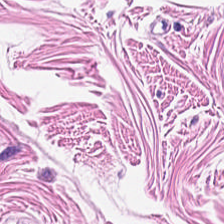Predominant tissue = smooth-muscle tissue.
